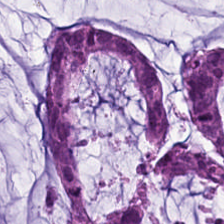Hematoxylin-and-eosin stained section — The tissue class is mucus.
